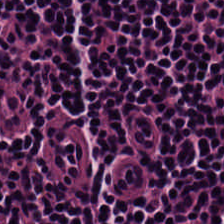0.5 microns per pixel · H&E stain.
Finding — lymphocytic infiltrate.
